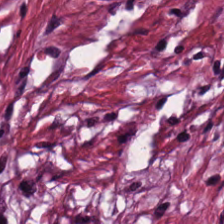Hematoxylin and eosin.
The tissue here is tumor stroma.
